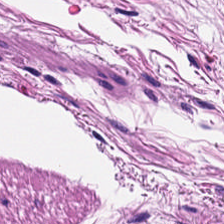H&E stain.
Predominantly muscularis.
